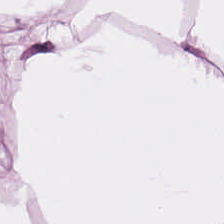Hematoxylin-and-eosin stained section.
Predominantly adipose tissue.
